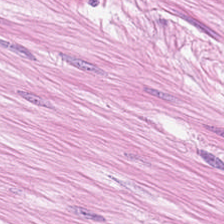H&E-stained tissue section. Classification — smooth-muscle tissue.
